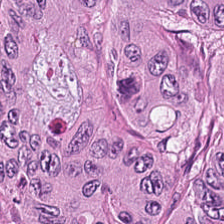H&E-stained tissue section. 0.5 µm per pixel. 224×224 px patch. This field is malignant epithelium.
